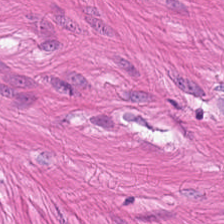H&E; FFPE. Tissue class — smooth-muscle tissue.
